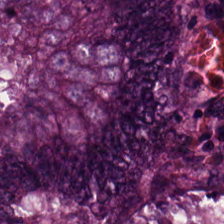H&E stain — Q: What type of tissue is this?
A: It is colorectal adenocarcinoma epithelium.
